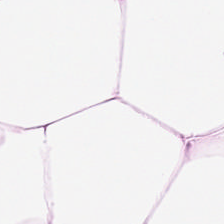224×224 pixel tile · hematoxylin-and-eosin stained section.
Tissue class: adipose tissue.
